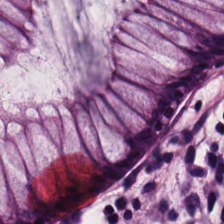0.5 µm/px; hematoxylin-and-eosin stained section.
Predominant tissue — normal colon mucosa.
